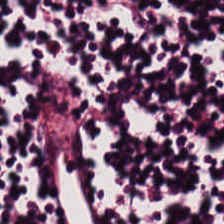Showing lymphocytes.
